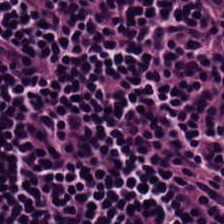Q: Identify the tissue.
A: This is lymphocytes.
